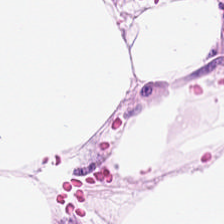Hematoxylin and eosin · FFPE tissue section.
Tissue type: adipose.
